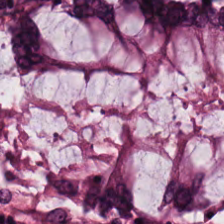H&E. Predominant tissue = non-neoplastic colon mucosa.
